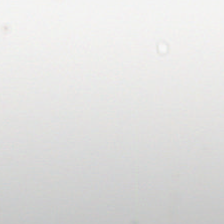H&E-stained tissue section. Finding — empty background.
